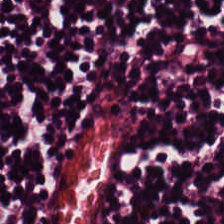Tissue type — lymphocytes.
